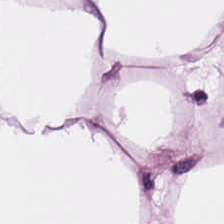Predominant tissue — adipose.
